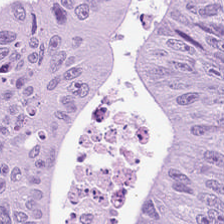Hematoxylin-and-eosin stained section.
Classification — colorectal adenocarcinoma epithelium.
